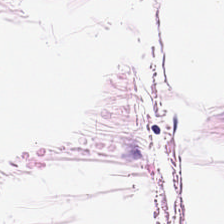224×224 px tile; hematoxylin and eosin.
Predominant tissue = adipose tissue.
